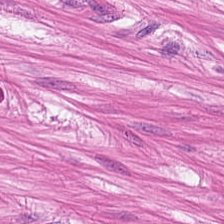Hematoxylin-and-eosin stained section; 224×224 pixel tile; 0.5 µm per pixel. This patch shows smooth muscle.
